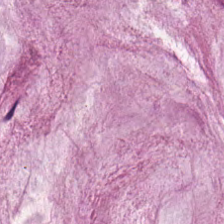H&E stain; 224×224 px patch. Q: What is the predominant tissue type?
A: It is extracellular mucin.
